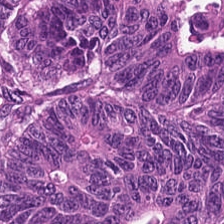Hematoxylin and eosin — Histology — malignant epithelium.
